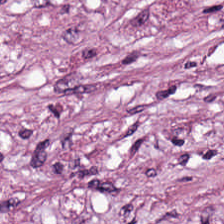{"tissue_type": "desmoplastic stroma"}
